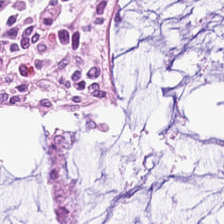Stain: hematoxylin-and-eosin stained section.
Tissue: normal colonic mucosa.
